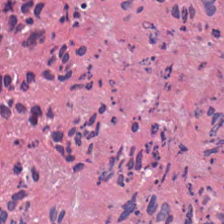Brightfield. Hematoxylin-and-eosin stained section — Predominantly cellular debris.
